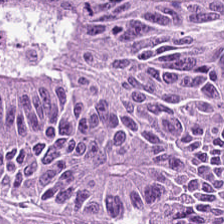H&E stain.
The predominant tissue is adenocarcinoma.
